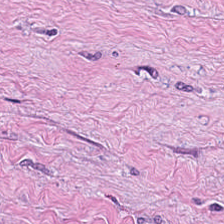H&E — desmoplastic stroma.
